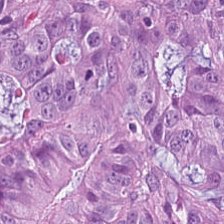0.5 µm/px. Hematoxylin and eosin. Q: What is shown in this field?
A: Colorectal adenocarcinoma.
